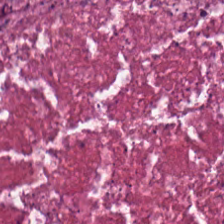Hematoxylin-and-eosin stained section. 224×224 pixel tile. Brightfield.
Histology → necrotic debris.
